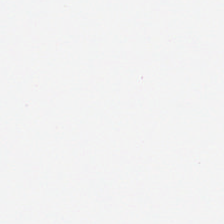H&E stain — Q: What does this patch show?
A: The field shows background.
